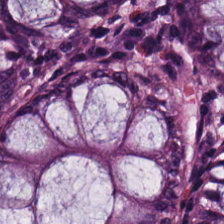Whole-slide-image patch. Hematoxylin-and-eosin stained section. Histology — normal colonic mucosa.
